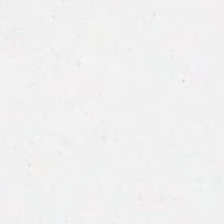Stain: H&E.
Classification: empty background.
